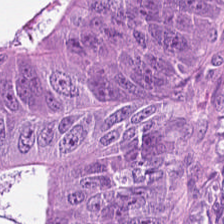Hematoxylin and eosin.
Showing colorectal adenocarcinoma epithelium.
